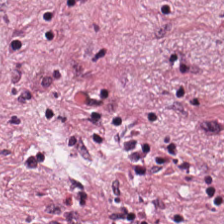{"tissue_type": "tumor stroma"}
